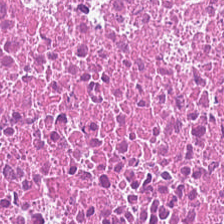Q: What tissue is shown?
A: The field shows necrotic debris.
